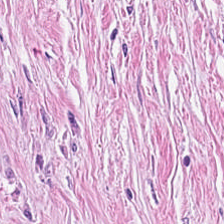Stain: hematoxylin and eosin.
Classification: cancer-associated stroma.
